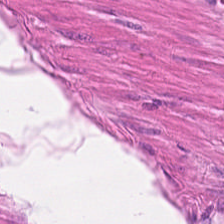224×224 pixel tile. Hematoxylin-and-eosin stained section. The predominant tissue is muscularis.
